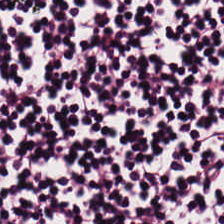Stain: hematoxylin and eosin.
Tile size: 224×224 px tile.
Preparation: FFPE.
Tissue type: lymphocyte aggregate.
